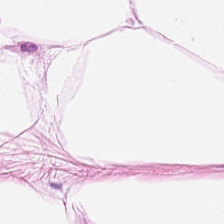H&E stain.
Predominant tissue: adipose tissue.
